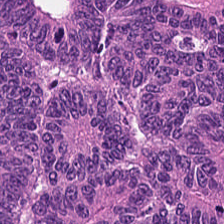H&E. Tissue class: tumor epithelium.
